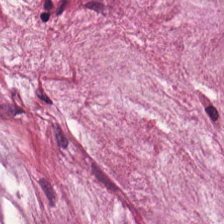H&E. Impression → mucin.
